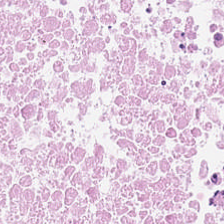H&E stain.
The predominant tissue is necrotic debris.
